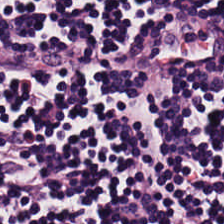Hematoxylin and eosin · FFPE tissue section.
Tissue class = lymphocytes.
